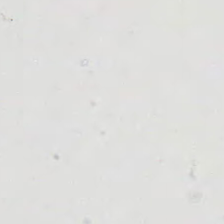224×224 pixel tile. H&E.
Q: Classify this patch.
A: The field shows empty background.
